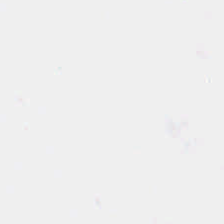H&E. The classification is no tissue.
